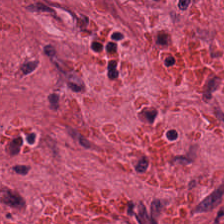H&E-stained tissue section. The predominant tissue is tumor-associated stroma.
